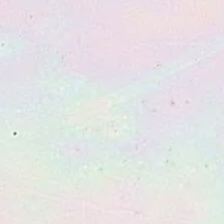FFPE. H&E-stained tissue section. No tissue present; background only.
